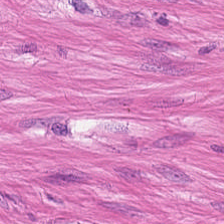Hematoxylin and eosin. 0.5 µm/px. Impression — muscularis.
